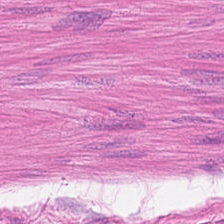H&E-stained tissue section — Finding → muscularis.
